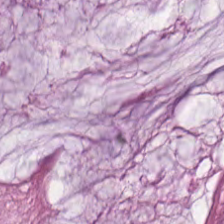Hematoxylin-and-eosin stained section. Brightfield microscopy. Predominant tissue: extracellular mucin.
